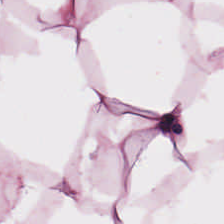Hematoxylin and eosin — Showing adipocytes.
